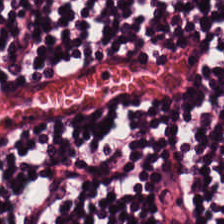H&E-stained tissue section.
Q: What tissue is shown?
A: Lymphocyte aggregate.
